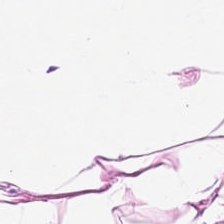Hematoxylin and eosin.
Q: What tissue type is shown here?
A: This is adipose tissue.
